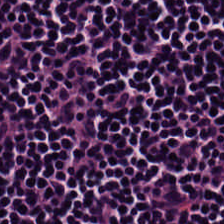Formalin-fixed paraffin-embedded section; H&E stain.
This field is lymphocytes.
